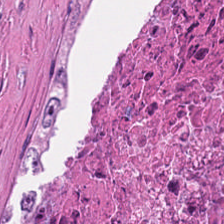Hematoxylin-and-eosin stained section — Histology — necrotic debris.
